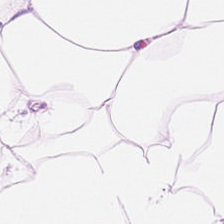Tissue type = adipocytes.
